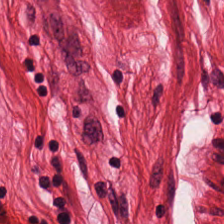Hematoxylin-and-eosin section: smooth muscle.
